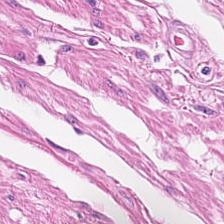Q: What is the predominant tissue type?
A: It is muscularis.
